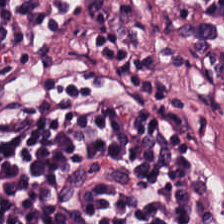Q: What is shown in this field?
A: This is lymphocyte aggregate.
